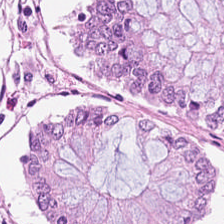This patch shows non-neoplastic colon mucosa.
